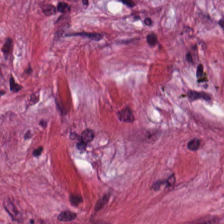Stain: hematoxylin and eosin.
Tissue class: cancer-associated stroma.
